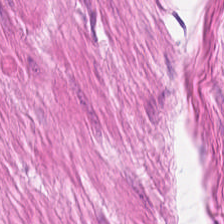H&E stain · formalin-fixed paraffin-embedded section.
Classification — smooth muscle.
